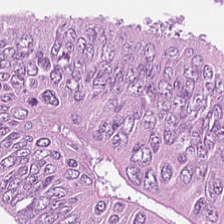H&E stain — The classification is colorectal adenocarcinoma epithelium.
